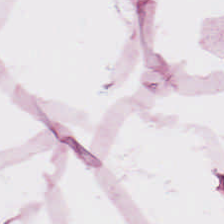Brightfield microscopy. Hematoxylin-and-eosin stained section. Predominantly adipose.
